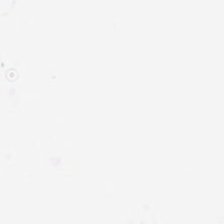Formalin-fixed paraffin-embedded section · whole-slide-image patch · H&E stain — Background — no tissue in this field.
